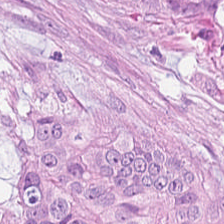224×224 pixel tile. 20× equivalent magnification. Hematoxylin and eosin. This field is colorectal adenocarcinoma.
